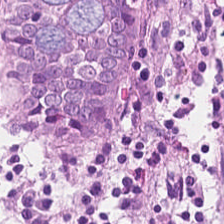Brightfield microscopy; H&E-stained tissue section — Predominantly normal colonic mucosa.
